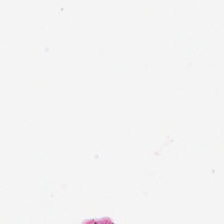H&E · 0.5 µm/px — Q: What does this patch show?
A: This is empty background.
